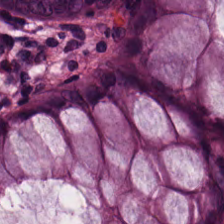H&E stain · 224×224 pixel tile. Tissue class = non-neoplastic colon mucosa.
